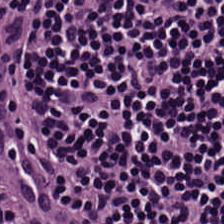H&E stain — The predominant tissue is lymphoid infiltrate.
